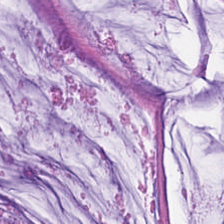Brightfield microscopy · H&E · formalin-fixed paraffin-embedded section.
The tissue here is mucin.
